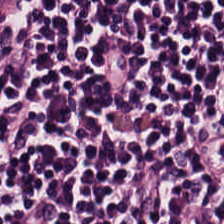Hematoxylin and eosin. Predominantly lymphocyte aggregate.
